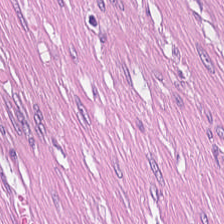H&E-stained tissue section. Predominantly desmoplastic stroma.
